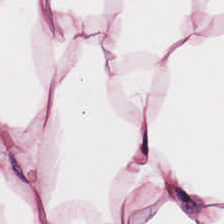H&E stain. This patch shows adipose tissue.
